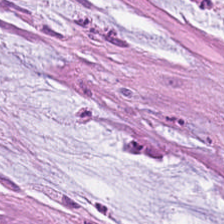Q: What tissue is shown?
A: It is mucus.
